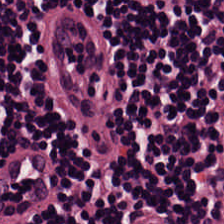The tissue type is lymphocytic infiltrate.
